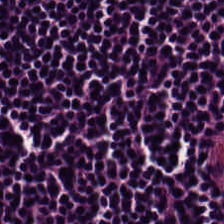Hematoxylin-and-eosin stained section.
Q: What does this patch show?
A: This is lymphoid infiltrate.
